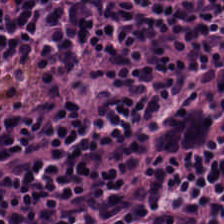Hematoxylin and eosin. 224×224 px patch. 20× equivalent magnification. Lymphoid infiltrate.
